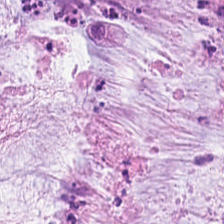Hematoxylin and eosin. Q: Identify the tissue.
A: The field shows mucin.
